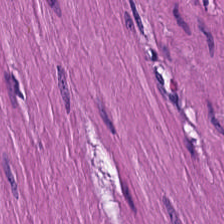H&E-stained tissue section · 0.5 µm/px · formalin-fixed paraffin-embedded section.
Impression — smooth muscle.
